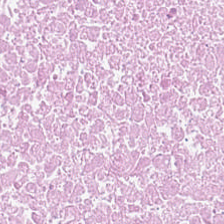H&E-stained tissue section; brightfield microscopy; 224×224 pixel tile — Q: What is shown in this field?
A: The field shows necrotic debris.
